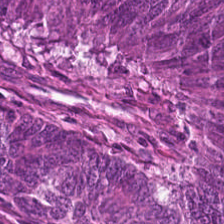H&E. Predominantly colorectal adenocarcinoma.
